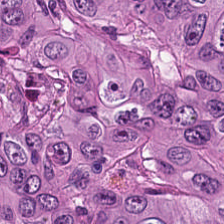Hematoxylin and eosin.
The tissue class is colorectal adenocarcinoma epithelium.
